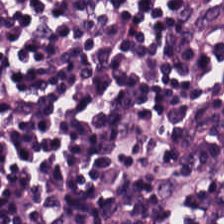20× equivalent magnification · H&E stain.
Tissue type — lymphocytes.
